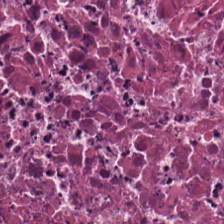Hematoxylin-and-eosin stained section. Q: What tissue type is shown here?
A: It is cellular debris.
